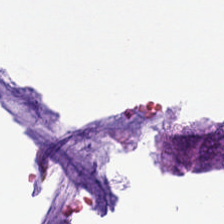WSI patch; hematoxylin and eosin. No tissue present; background only.
